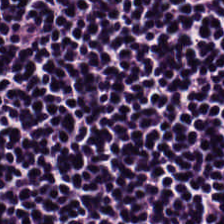Q: What is shown in this field?
A: The field shows lymphocyte aggregate.
